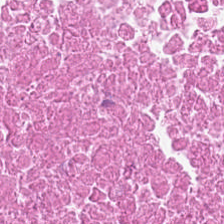Whole-slide-image patch · H&E stain. Histology → debris.
